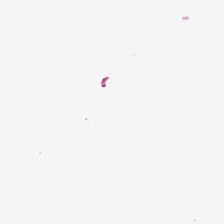H&E-stained tissue section.
Background — no tissue in this field.
